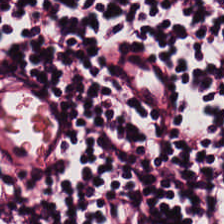Hematoxylin-and-eosin section: lymphocyte aggregate.
